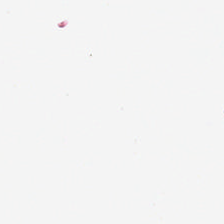FFPE tissue section; H&E; 224×224 pixel tile.
Empty field — background (no tissue).
